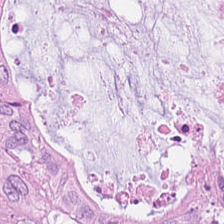Hematoxylin and eosin · formalin-fixed paraffin-embedded section · 0.5 µm/px — Q: What tissue is shown?
A: Colorectal adenocarcinoma epithelium.
